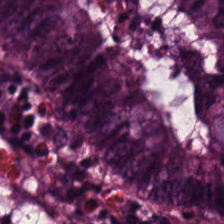H&E-stained tissue section. Showing benign colonic mucosa.
